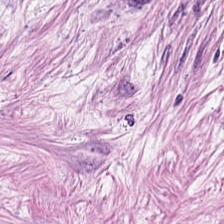Stain: hematoxylin and eosin.
Resolution: 0.5 µm/px.
Tissue class: tumor-associated stroma.
